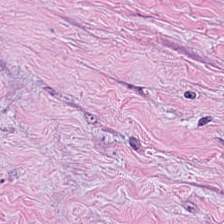H&E — Tissue class — desmoplastic stroma.
